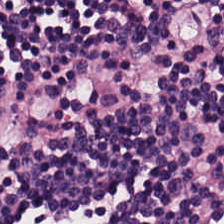Formalin-fixed paraffin-embedded section; brightfield microscopy; H&E stain. Showing lymphocyte aggregate.
